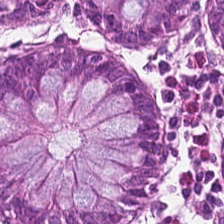This patch shows non-neoplastic colon mucosa.
